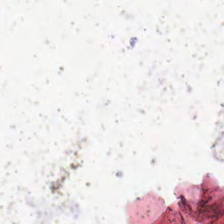Whole-slide-image patch · H&E stain · 0.5 µm per pixel. This patch shows background (no tissue).
